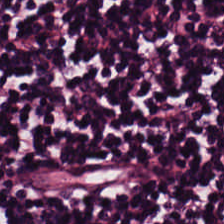{"tissue_type": "lymphoid infiltrate"}
